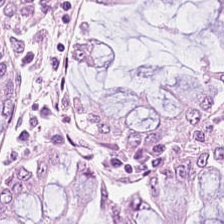Hematoxylin and eosin · 0.5 microns per pixel. {"tissue_type": "normal colonic mucosa"}
